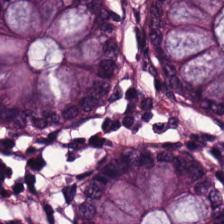Hematoxylin and eosin · 224×224 px patch — Q: Identify the tissue.
A: This is non-neoplastic colon mucosa.
